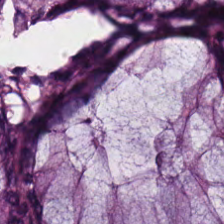20× equivalent magnification; H&E-stained tissue section. {"tissue_type": "non-neoplastic colon mucosa"}
